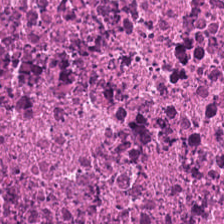WSI patch · hematoxylin and eosin.
Predominant tissue = necrotic debris.
